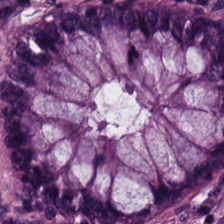0.5 microns per pixel; H&E.
Showing non-neoplastic colon mucosa.
